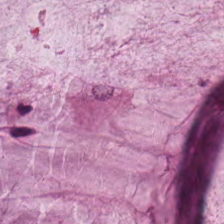FFPE tissue section. H&E. Tissue type = extracellular mucin.
